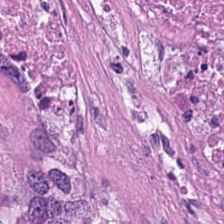H&E — Tissue type — necrotic debris.
